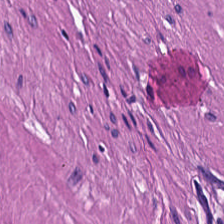Hematoxylin and eosin. Q: What does this patch show?
A: Muscularis.
